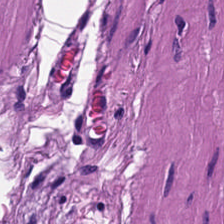{"tissue_type": "muscularis"}
